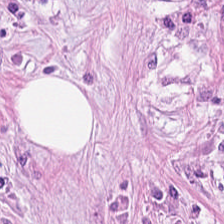Hematoxylin and eosin.
Q: What is the predominant tissue type?
A: It is tumor-associated stroma.
